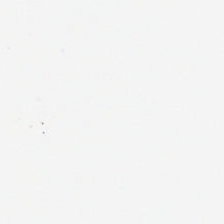H&E stain. Content: empty background.
